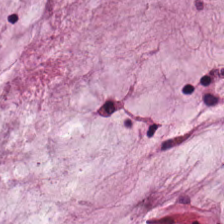Hematoxylin-and-eosin stained section — Showing mucus.
